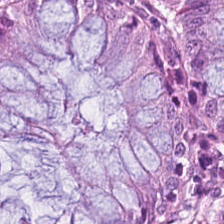H&E. 0.5 µm per pixel. FFPE tissue section.
Showing normal colon mucosa.
